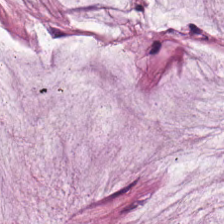224×224 px tile. H&E-stained tissue section. Finding → mucus.
